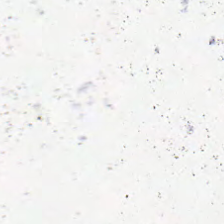The field content is background (no tissue).
